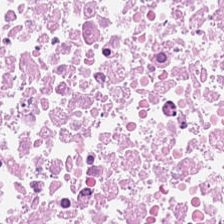H&E-stained tissue section showing cellular debris.
